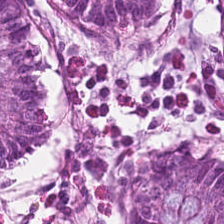H&E — benign colonic mucosa.
